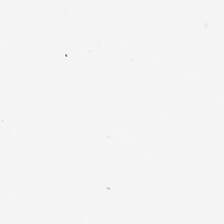H&E.
This field is background (no tissue).
